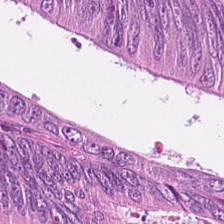H&E-stained tissue section. Q: Classify this patch.
A: Colorectal adenocarcinoma.
